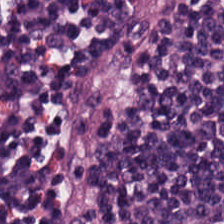H&E-stained tissue section · whole-slide-image patch.
{"tissue_type": "lymphocytes"}
